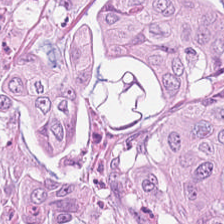Stain: H&E-stained tissue section.
Predominant tissue: colorectal adenocarcinoma epithelium.
